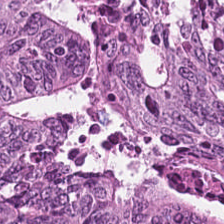The tissue is malignant epithelium.
